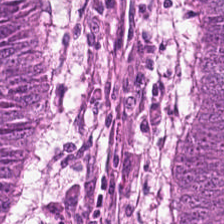Formalin-fixed paraffin-embedded section · H&E. Showing colorectal adenocarcinoma epithelium.
